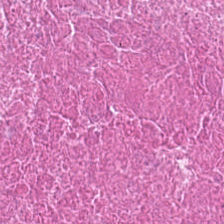WSI patch. Hematoxylin-and-eosin stained section. The tissue class is debris.
